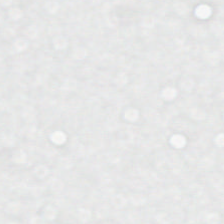Hematoxylin-and-eosin stained section.
Field content — background.
